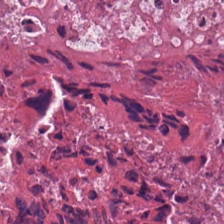H&E-stained tissue section.
This field is cellular debris.
